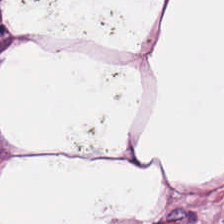H&E — fat tissue.
